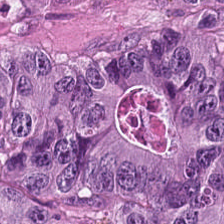{"tissue_type": "malignant epithelium"}
